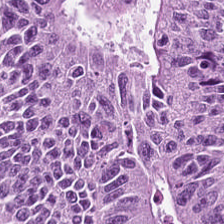Stain: H&E stain.
Preparation: formalin-fixed paraffin-embedded section.
Tile size: 224×224 px tile.
Tissue class: adenocarcinoma.
